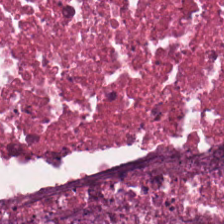Hematoxylin and eosin.
Finding → debris.
